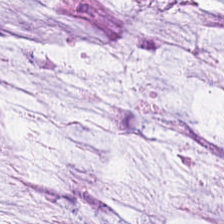H&E. Q: Identify the tissue.
A: This is mucus.
